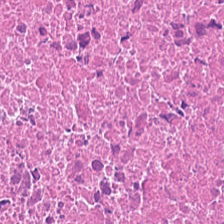Brightfield microscopy; 224×224 pixel tile; H&E stain. The classification is cellular debris.
